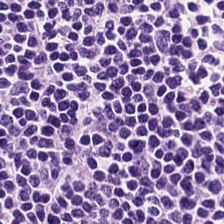Tissue: lymphocyte aggregate.
